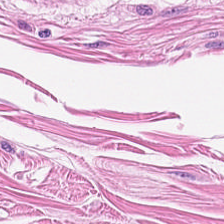H&E — The tissue type is muscularis.
